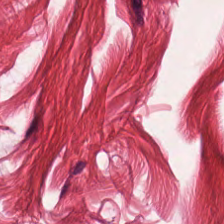Hematoxylin-and-eosin stained section; WSI patch; FFPE tissue section.
The predominant tissue is muscularis.
